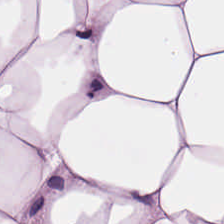H&E. 224×224 px tile. Whole-slide-image patch. Classification — adipose.
